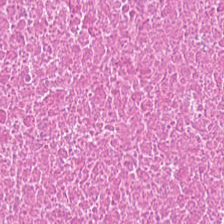Hematoxylin-and-eosin stained section · FFPE. Impression → cellular debris.
